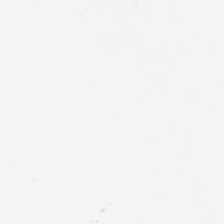H&E-stained tissue section — Background (no tissue).
